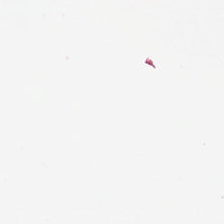H&E. This patch shows empty background.
